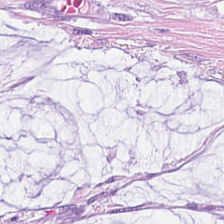Formalin-fixed paraffin-embedded section. Hematoxylin and eosin. 224×224 pixel tile.
Mucin.
